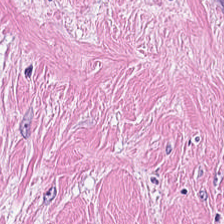H&E-stained tissue section; whole-slide-image patch; 20× equivalent magnification.
Tissue = cancer-associated stroma.
